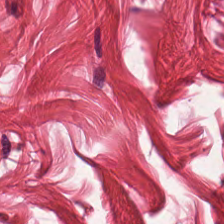Tissue type = smooth muscle.
